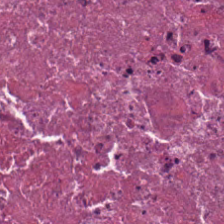The predominant tissue is cellular debris.
